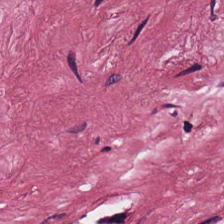H&E stain.
Tissue type: tumor-associated stroma.
